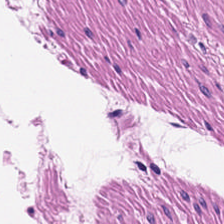Tissue type: smooth-muscle tissue.
